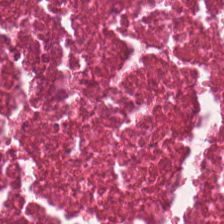224×224 pixel tile. Hematoxylin-and-eosin stained section. 0.5 µm per pixel.
Tissue: cellular debris.
